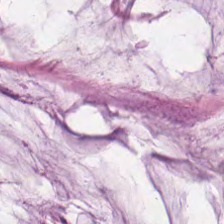H&E. Histology → mucus.
